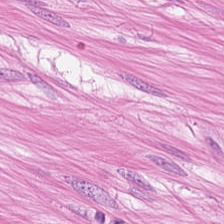Brightfield; hematoxylin and eosin; 224×224 px patch. Smooth-muscle tissue.
